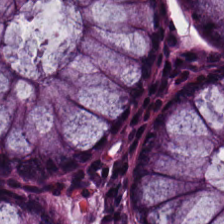Stain: hematoxylin-and-eosin stained section.
Tile size: 224×224 pixel tile.
Resolution: 0.5 µm/px.
Tissue: normal colon mucosa.
